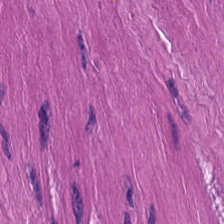Stain: H&E-stained tissue section.
Predominant tissue: smooth muscle.
